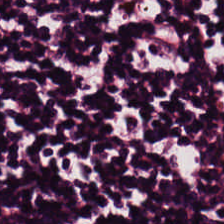Showing lymphocytic infiltrate.
